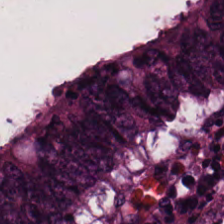H&E stain; formalin-fixed paraffin-embedded section.
Tissue class = tumor epithelium.
